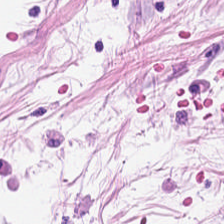224×224 pixel tile · hematoxylin-and-eosin stained section. The predominant tissue is adipocytes.
